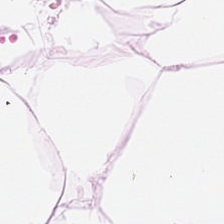Classification = fat tissue.
